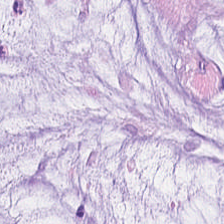Classification = mucus.
